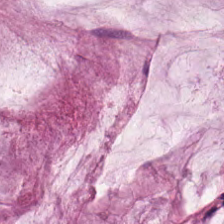Q: What is shown in this field?
A: It is mucin.
